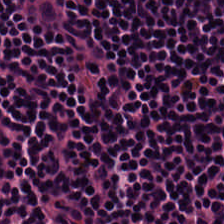Predominantly lymphoid infiltrate.
